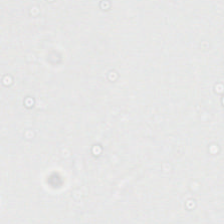Whole-slide-image patch · H&E stain.
{"content": "background"}
